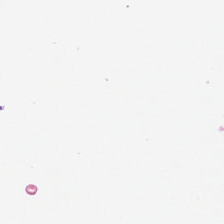Hematoxylin and eosin. No tissue present; background only.
